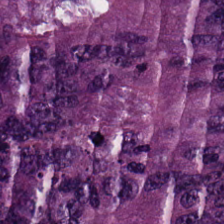Tissue type — malignant epithelium.
